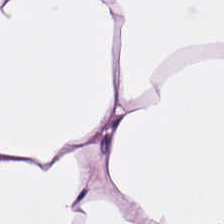H&E; 224×224 px patch — This patch shows adipose.
